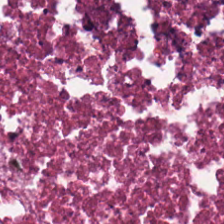H&E-stained tissue section — Q: What tissue is shown?
A: The field shows debris.
